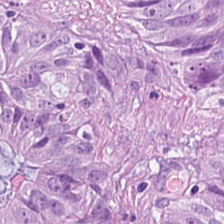Stain: H&E stain.
Resolution: 0.5 µm per pixel.
Tissue: malignant epithelium.
